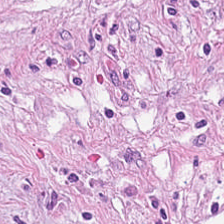Hematoxylin-and-eosin stained section — Histology → tumor stroma.
